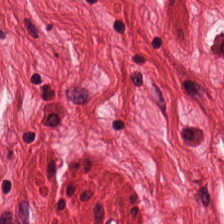Stain: H&E stain.
Classification: smooth muscle.
